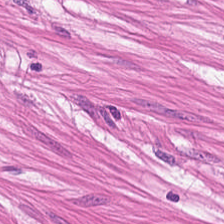Hematoxylin and eosin. 20× equivalent magnification — The predominant tissue is smooth-muscle tissue.
